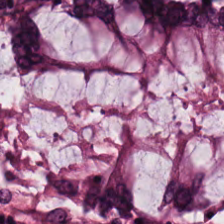H&E-stained tissue section; whole-slide-image patch; 20× equivalent magnification — Classification: normal colonic mucosa.
